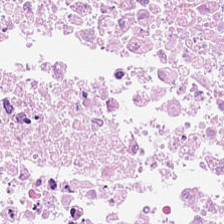Hematoxylin-and-eosin stained section — Predominantly cellular debris.
